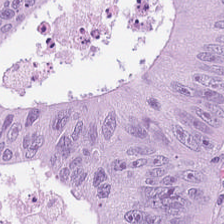Hematoxylin-and-eosin stained section; 224×224 px patch.
Predominantly colorectal adenocarcinoma.
